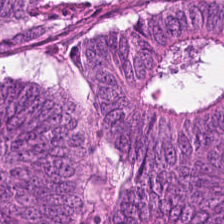H&E. 224×224 px tile. WSI patch.
Histology → tumor epithelium.
